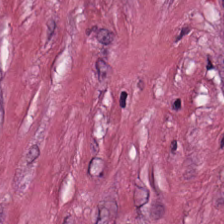224×224 px tile. Hematoxylin and eosin.
The predominant tissue is desmoplastic stroma.
